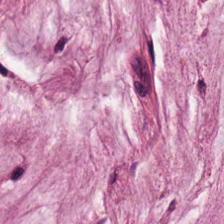Hematoxylin and eosin.
Histology → extracellular mucin.
